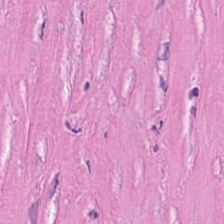H&E stain. Showing tumor-associated stroma.
